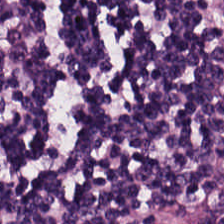20× equivalent magnification; H&E stain — Q: What tissue type is shown here?
A: The field shows lymphoid infiltrate.
